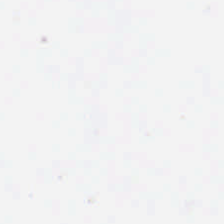Q: What does this patch show?
A: This is background (no tissue).
